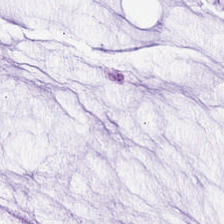H&E — mucin.
